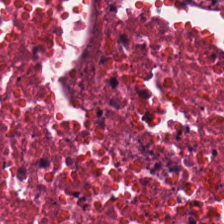Stain: H&E stain.
Tile size: 224×224 px tile.
Resolution: 0.5 µm/px.
Predominant tissue: debris.
